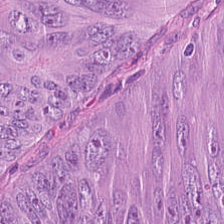Stain: hematoxylin and eosin.
Tissue: adenocarcinoma.
